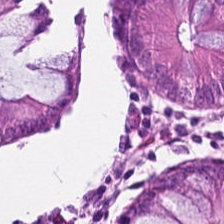Hematoxylin-and-eosin stained section.
This patch shows benign colonic mucosa.
